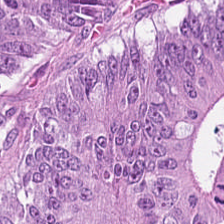H&E-stained tissue section showing colorectal adenocarcinoma.
